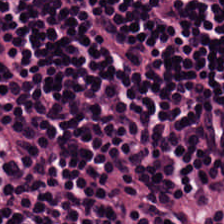Stain: H&E-stained tissue section.
Tile size: 224×224 pixel tile.
Preparation: FFPE.
Tissue class: lymphocytes.
